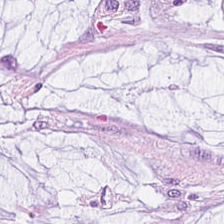H&E stain — Tissue — extracellular mucin.
